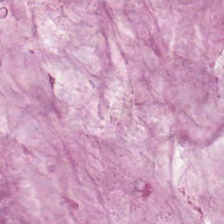Q: What is the predominant tissue type?
A: Extracellular mucin.
